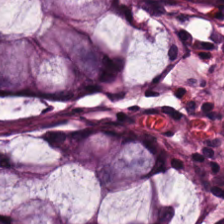H&E stain.
{"tissue_type": "normal colon mucosa"}
